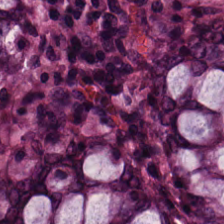FFPE; brightfield microscopy; H&E stain. Q: What is shown here?
A: The field shows non-neoplastic colon mucosa.
